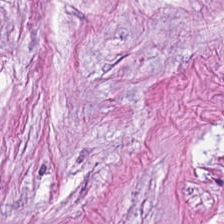Stain: hematoxylin-and-eosin stained section.
Tissue type: cancer-associated stroma.
